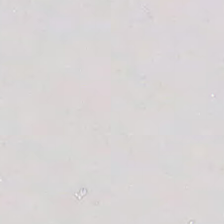Hematoxylin-and-eosin stained section — Q: Classify this patch.
A: The field shows empty background.
